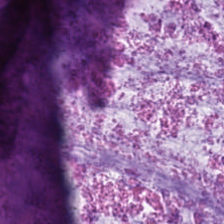Histology — mucin.
